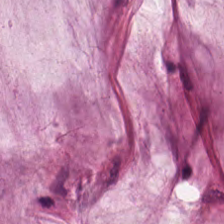Formalin-fixed paraffin-embedded section. Hematoxylin and eosin. Tissue — mucin.
